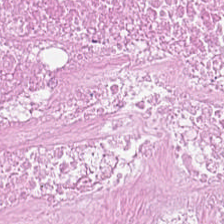Stain: hematoxylin and eosin.
Tile size: 224×224 px tile.
Predominant tissue: necrotic debris.
